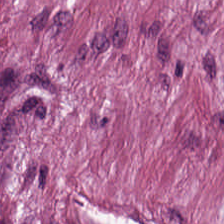H&E-stained tissue section. Q: Classify this patch.
A: It is desmoplastic stroma.
